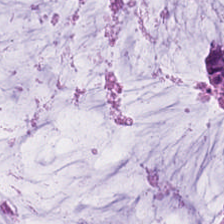Hematoxylin-and-eosin stained section. The predominant tissue is mucin.
